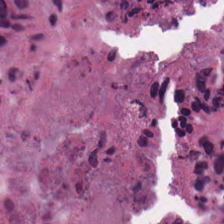Hematoxylin and eosin. 0.5 µm/px.
The tissue here is debris.
